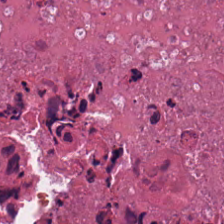Tissue = debris.
